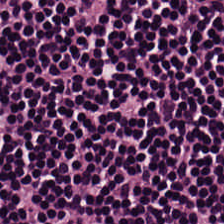Stain: hematoxylin-and-eosin stained section.
Classification: lymphoid infiltrate.
